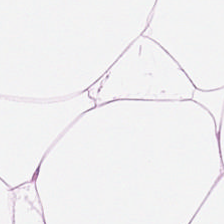224×224 pixel tile. 0.5 µm/px. Hematoxylin-and-eosin stained section — Adipocytes.
